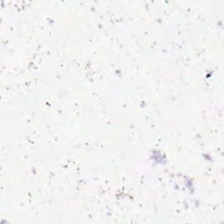Hematoxylin and eosin. Q: What does this patch show?
A: It is background.
